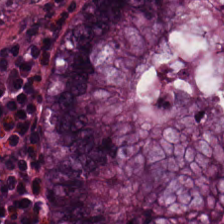Stain: H&E-stained tissue section.
Tissue type: non-neoplastic colon mucosa.
